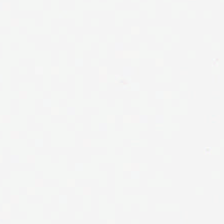H&E stain.
No tissue present; background only.
